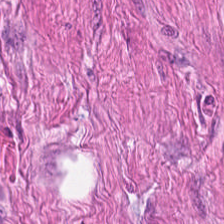Hematoxylin-and-eosin stained section.
Q: What is the predominant tissue type?
A: This is smooth muscle.
